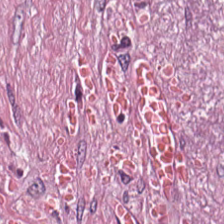This field is desmoplastic stroma.
